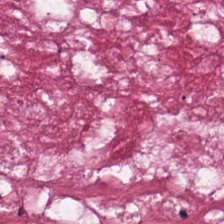Q: What tissue type is shown here?
A: This is tumor stroma.
